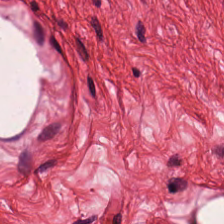Hematoxylin and eosin. Classification = muscularis.
